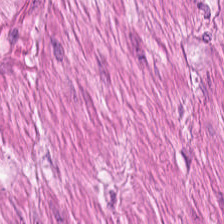Stain: H&E stain.
Classification: muscularis.
